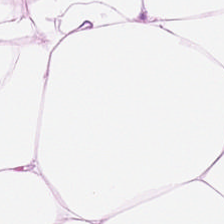H&E stain. Adipocytes.
